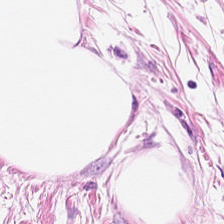H&E-stained tissue section. Brightfield.
Tissue type = fat tissue.
